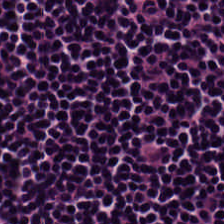Hematoxylin and eosin.
The tissue here is lymphocytes.
